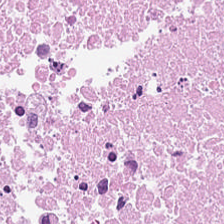Tissue = necrotic debris.
